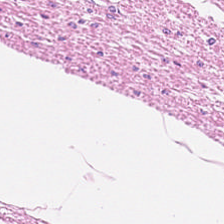0.5 microns per pixel; hematoxylin-and-eosin stained section; brightfield microscopy. Q: What tissue is shown?
A: This is smooth muscle.
